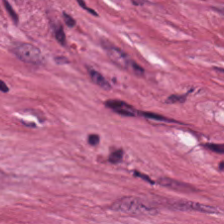H&E stain.
Tumor-associated stroma.
